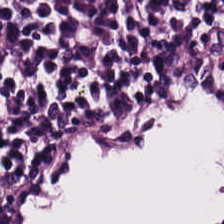Hematoxylin and eosin — The predominant tissue is lymphocytes.
